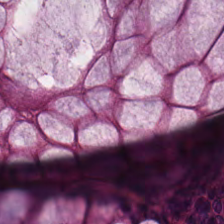H&E stain · 224×224 pixel tile · 0.5 microns per pixel — The tissue here is normal colon mucosa.
